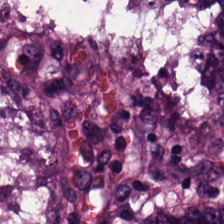H&E-stained tissue section.
Q: Identify the tissue.
A: This is colorectal adenocarcinoma epithelium.
